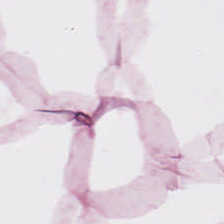Tissue class — fat tissue.
